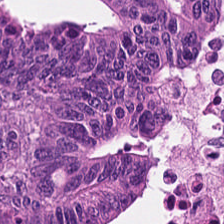Showing tumor epithelium.
